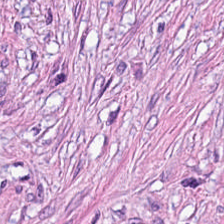Impression — cancer-associated stroma.
